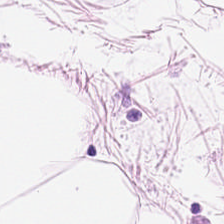224×224 px patch · 0.5 microns per pixel · hematoxylin-and-eosin stained section.
This patch shows fat tissue.
